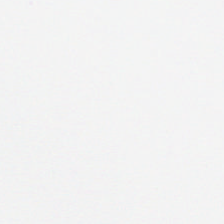Field content — background.
